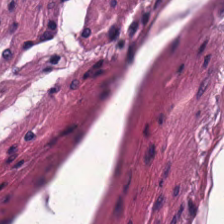Hematoxylin and eosin. Histology → smooth-muscle tissue.
